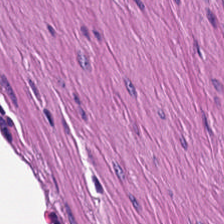224×224 px patch. Brightfield microscopy. Hematoxylin and eosin — The predominant tissue is smooth muscle.
